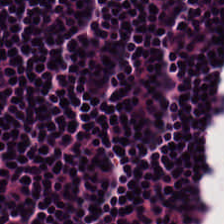H&E-stained section; the field shows lymphocytes.
